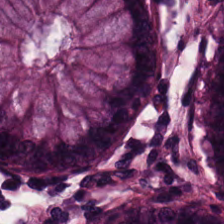Stain: H&E stain.
Predominant tissue: non-neoplastic colon mucosa.
